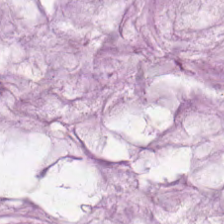WSI patch. H&E.
Q: What tissue type is shown here?
A: Extracellular mucin.
